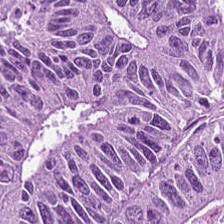Predominantly tumor epithelium.
